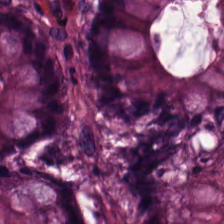Hematoxylin-and-eosin stained section.
Q: Identify the tissue.
A: The field shows normal colon mucosa.
